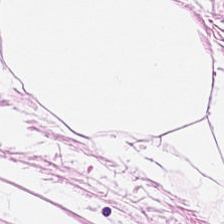H&E stain.
Showing adipose.
